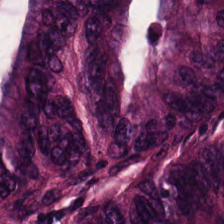Hematoxylin and eosin.
Q: What is the predominant tissue type?
A: The field shows adenocarcinoma.
